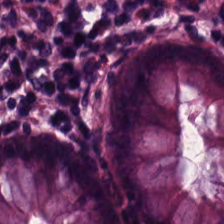H&E stain.
Finding → normal colon mucosa.
